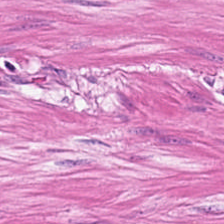Q: Identify the tissue.
A: This is muscularis.
